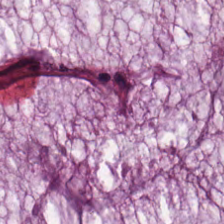Hematoxylin and eosin.
This field is extracellular mucin.
